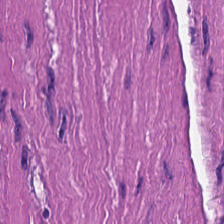224×224 px patch. H&E — This patch shows smooth-muscle tissue.
